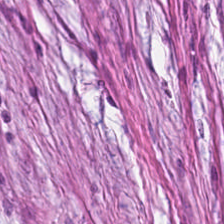Hematoxylin and eosin — Tumor stroma.
